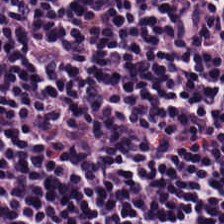H&E patch showing lymphocyte aggregate.
